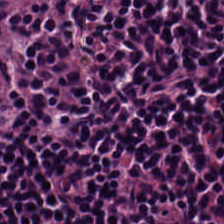Stain: H&E-stained tissue section.
Predominant tissue: lymphocytic infiltrate.
